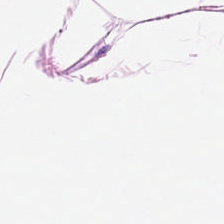Stain: hematoxylin-and-eosin stained section.
Acquisition: brightfield microscopy.
Classification: fat tissue.
